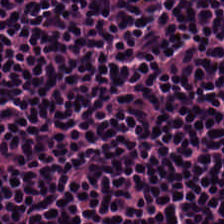Q: Classify this patch.
A: This is lymphoid infiltrate.
